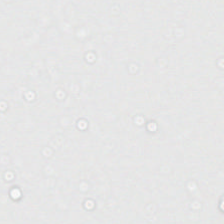H&E stain. 224×224 px tile. Content: background (no tissue).
